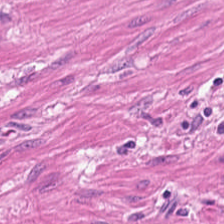0.5 µm/px; H&E. Predominant tissue = smooth-muscle tissue.
